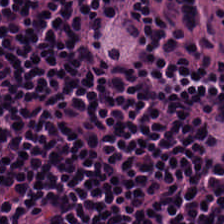H&E. Brightfield.
Q: What is shown in this field?
A: The field shows lymphoid infiltrate.
